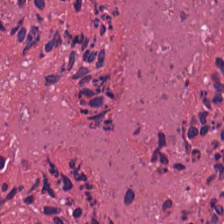This field is cellular debris.
